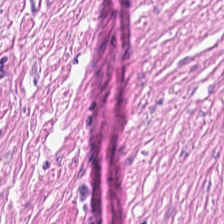H&E stain · 0.5 µm/px.
Histology → smooth-muscle tissue.
